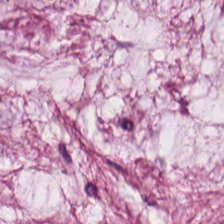FFPE. Hematoxylin and eosin. 224×224 pixel tile — Q: What tissue is shown?
A: It is mucus.
